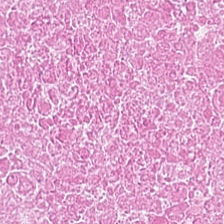H&E stain.
Histology — cellular debris.
